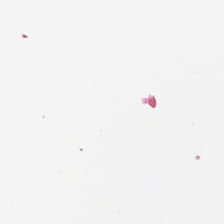Hematoxylin-and-eosin stained section.
Q: What is shown here?
A: The field shows background.
